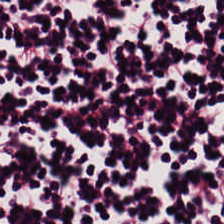H&E-stained tissue section · brightfield — Showing lymphocytic infiltrate.
